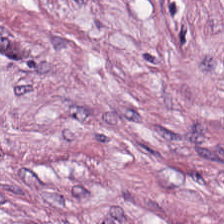224×224 px patch; hematoxylin-and-eosin stained section. Q: What is shown here?
A: It is desmoplastic stroma.
